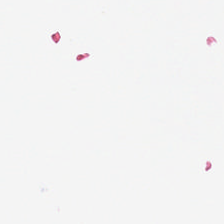H&E-stained tissue section. Brightfield microscopy — Q: What does this patch show?
A: It is background (no tissue).
